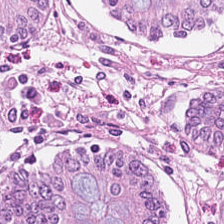Predominantly benign colonic mucosa.
